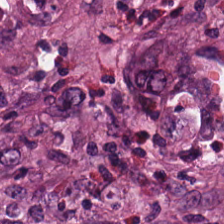Stain: H&E stain.
Preparation: formalin-fixed paraffin-embedded section.
Acquisition: brightfield.
Tissue class: tumor stroma.
